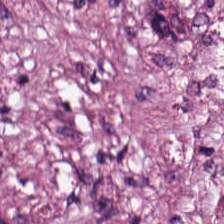H&E-stained tissue section showing tumor stroma.
